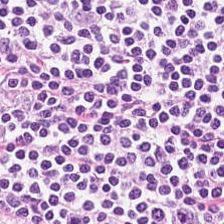Lymphoid infiltrate.
